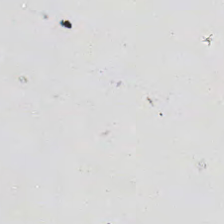Background — no tissue in this field.
